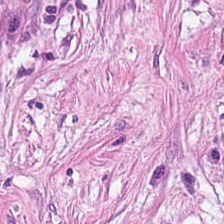H&E stain — Desmoplastic stroma.
